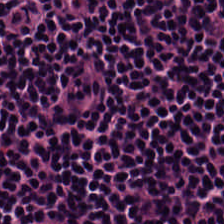H&E.
Q: What is the predominant tissue type?
A: Lymphoid infiltrate.
